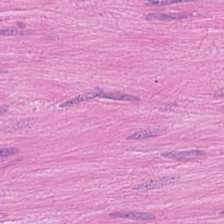H&E stain; 224×224 px patch — Showing smooth-muscle tissue.
